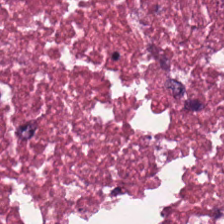Hematoxylin and eosin. Tissue class — debris.
